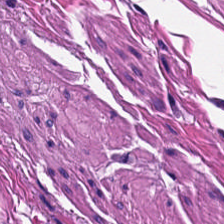Q: What is shown in this field?
A: It is muscularis.
